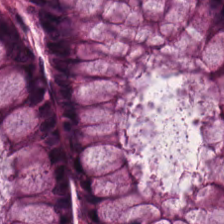H&E. Q: What type of tissue is this?
A: This is normal colon mucosa.
